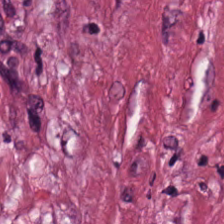H&E stain. 224×224 px patch.
The predominant tissue is desmoplastic stroma.
